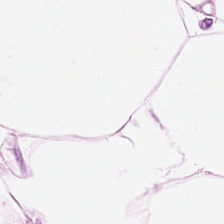H&E-stained tissue section.
This field is fat tissue.
